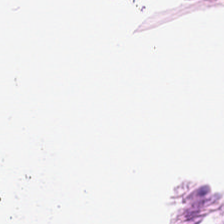H&E-stained section; the field shows adipose tissue.
